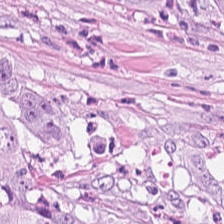Formalin-fixed paraffin-embedded section · H&E · 224×224 px patch.
The tissue class is malignant epithelium.
